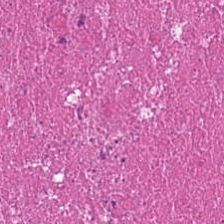0.5 µm/px · hematoxylin-and-eosin stained section. This field is necrotic debris.
